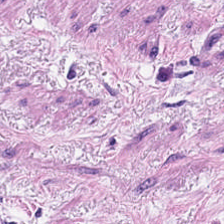The predominant tissue is smooth muscle.
